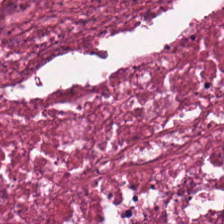H&E-stained tissue section. Tissue class — cellular debris.
